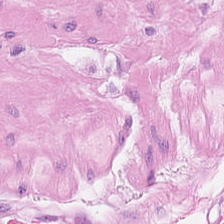Tissue: smooth-muscle tissue.
